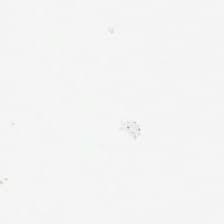Stain: H&E.
Resolution: 20× equivalent magnification.
Preparation: FFPE tissue section.
Content: no tissue.
